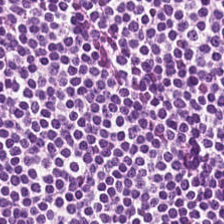{"tissue_type": "lymphocyte aggregate"}
